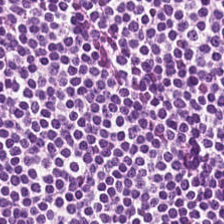{"tissue_type": "lymphocyte aggregate"}
